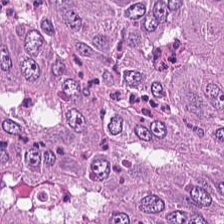0.5 µm/px. H&E stain. WSI patch — Histology → tumor epithelium.
